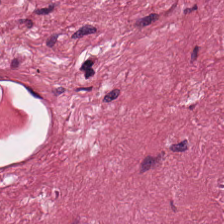H&E; FFPE — Classification = cancer-associated stroma.
